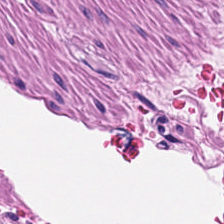H&E-stained tissue section showing smooth muscle.
